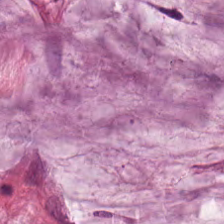224×224 pixel tile; WSI patch; H&E-stained tissue section — Tissue class: mucus.
